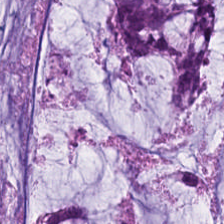Hematoxylin and eosin. 0.5 µm/px — Q: What is shown here?
A: Mucin.
